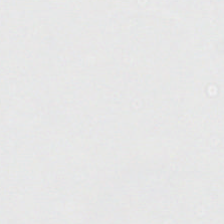Hematoxylin and eosin.
Content = background.
